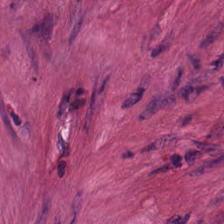Stain: H&E-stained tissue section.
Predominant tissue: smooth-muscle tissue.
